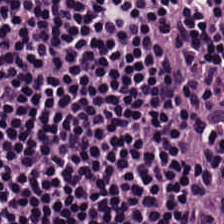Tissue class: lymphocyte aggregate.
